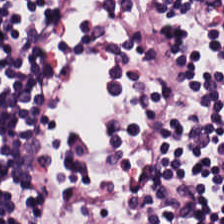0.5 µm/px · hematoxylin-and-eosin stained section — Lymphocyte aggregate.
